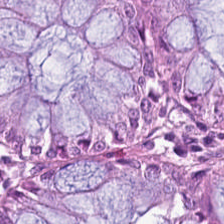0.5 µm/px; H&E. Impression → non-neoplastic colon mucosa.
